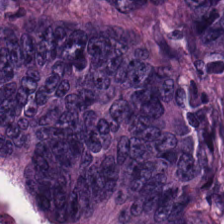Malignant epithelium.
